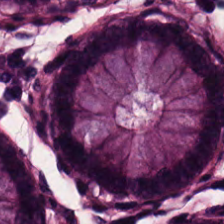Hematoxylin-and-eosin stained section. 224×224 pixel tile. This patch shows benign colonic mucosa.
